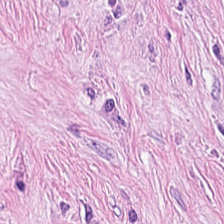H&E; 224×224 px tile. This patch shows tumor stroma.
